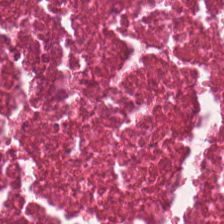H&E — Q: Identify the tissue.
A: This is debris.
